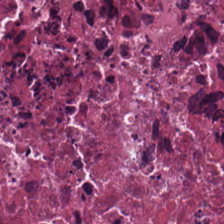224×224 pixel tile. H&E stain. FFPE.
The tissue type is necrotic debris.
